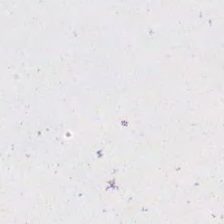Whole-slide-image patch. Hematoxylin-and-eosin stained section.
{"content": "background (no tissue)"}
